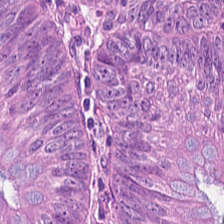H&E stain. Predominant tissue: adenocarcinoma.
